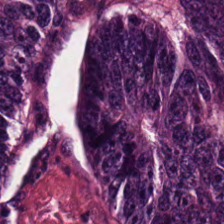Brightfield; 224×224 px patch; H&E — Predominant tissue: tumor epithelium.
